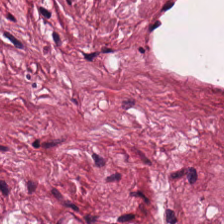H&E stain. Tissue type = tumor-associated stroma.
